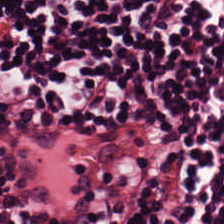Hematoxylin and eosin. Impression — lymphoid infiltrate.
